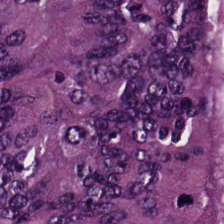Hematoxylin-and-eosin section: malignant epithelium.
